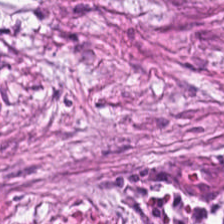H&E stain; 0.5 microns per pixel.
Tissue: tumor stroma.
